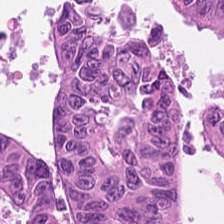Predominant tissue = colorectal adenocarcinoma epithelium.
